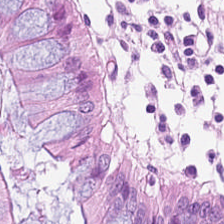H&E.
The tissue type is benign colonic mucosa.
